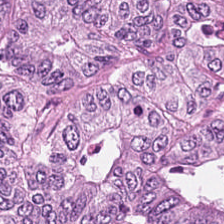Stain: hematoxylin and eosin.
Acquisition: WSI patch.
Predominant tissue: colorectal adenocarcinoma.
